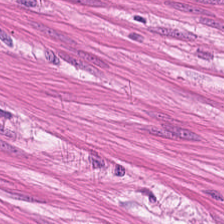224×224 px tile; 0.5 µm per pixel; H&E. {"tissue_type": "smooth-muscle tissue"}
